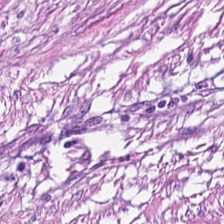This field is desmoplastic stroma.
